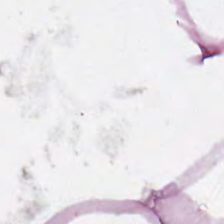Hematoxylin and eosin.
Q: What is shown in this field?
A: It is adipose.
